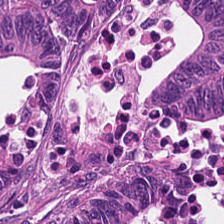H&E-stained tissue section.
Q: What is the predominant tissue type?
A: It is colorectal adenocarcinoma.
